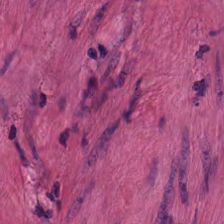H&E-stained tissue section. Formalin-fixed paraffin-embedded section. Showing smooth-muscle tissue.
